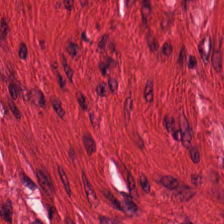Hematoxylin-and-eosin stained section — Impression — muscularis.
